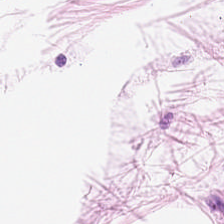Classification = adipose tissue.
